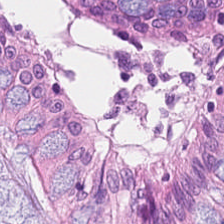H&E.
Q: What is the predominant tissue type?
A: Normal colon mucosa.
